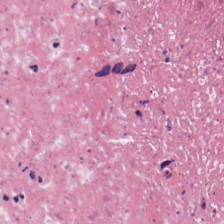Stain: H&E stain.
Tissue type: necrotic debris.
